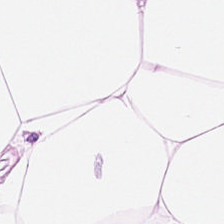Stain: hematoxylin and eosin.
Tissue type: adipose.
